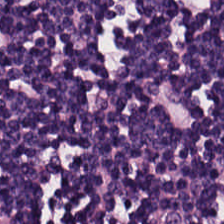Hematoxylin and eosin · 224×224 pixel tile.
Q: Identify the tissue.
A: This is lymphocytic infiltrate.
